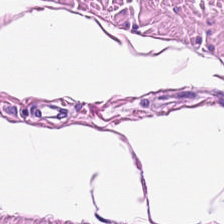H&E stain. 224×224 px tile. This patch shows smooth-muscle tissue.
